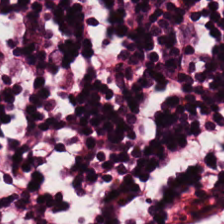224×224 pixel tile; H&E-stained tissue section. Predominantly lymphocytes.
